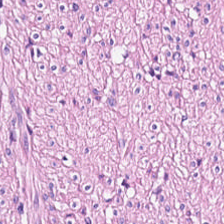Impression → smooth-muscle tissue.
